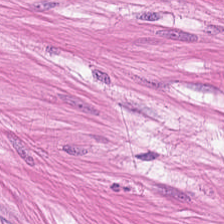This field is smooth-muscle tissue.
